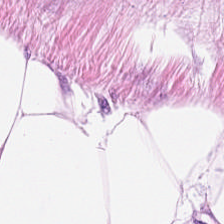H&E stain.
Q: Identify the tissue.
A: This is adipose tissue.
